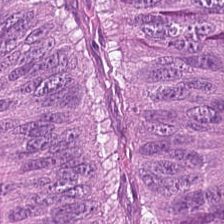Stain: H&E.
Preparation: FFPE.
Acquisition: brightfield microscopy.
Tissue type: colorectal adenocarcinoma epithelium.
